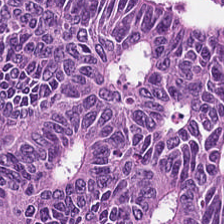H&E stain. Q: What does this patch show?
A: The field shows colorectal adenocarcinoma.
